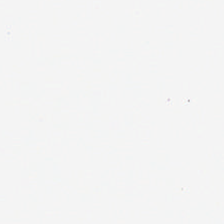No tissue present; background only.
